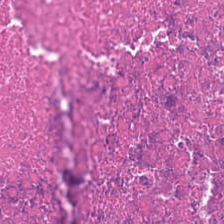H&E-stained tissue section. FFPE tissue section. 20× equivalent magnification. Classification: debris.
